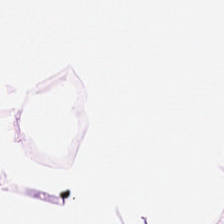Hematoxylin and eosin.
Adipose tissue.
